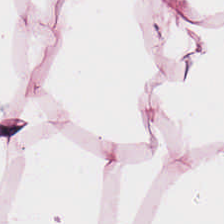H&E-stained tissue section; brightfield — Showing adipose tissue.
